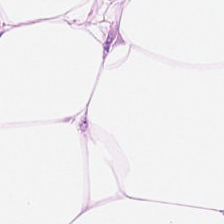Hematoxylin and eosin. The classification is adipose tissue.
